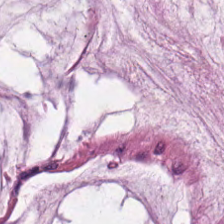H&E stain. {"tissue_type": "mucus"}
